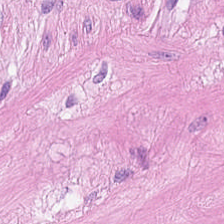H&E-stained tissue section. Tissue class: smooth-muscle tissue.
